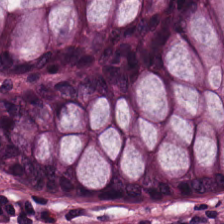224×224 pixel tile. H&E stain. This patch shows normal colon mucosa.
